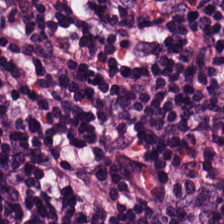Tissue: lymphocytes.
